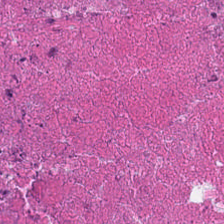H&E stain; FFPE.
Histology → debris.
